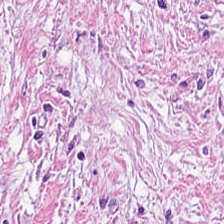{"tissue_type": "cancer-associated stroma"}
